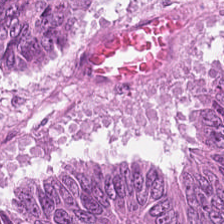224×224 px tile · brightfield · hematoxylin and eosin — This field is colorectal adenocarcinoma.
